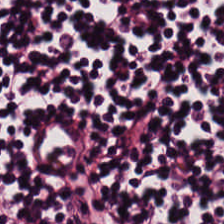H&E.
The tissue here is lymphoid infiltrate.
